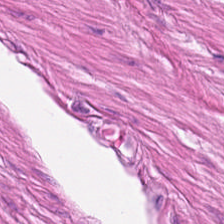H&E-stained section; the field shows muscularis.
